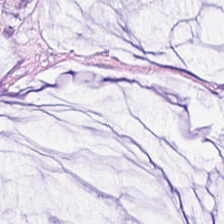H&E stain · formalin-fixed paraffin-embedded section. {"tissue_type": "mucin"}
